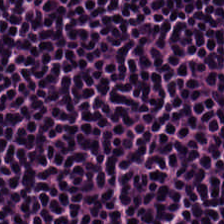Hematoxylin-and-eosin section: lymphocytes.
